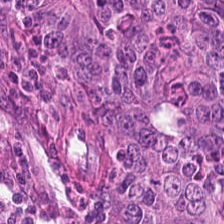H&E-stained tissue section.
Tissue type — tumor epithelium.
